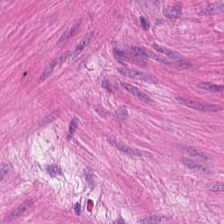Hematoxylin-and-eosin stained section. Histology → muscularis.
